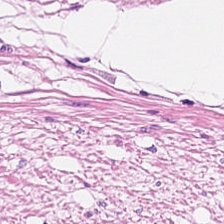H&E — The predominant tissue is smooth muscle.
